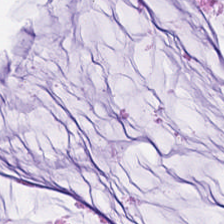Hematoxylin-and-eosin stained section. 224×224 pixel tile. Brightfield microscopy. This field is mucin.
